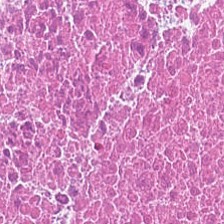H&E · FFPE.
The predominant tissue is cellular debris.
